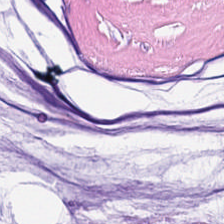FFPE · hematoxylin-and-eosin stained section — The tissue here is extracellular mucin.
